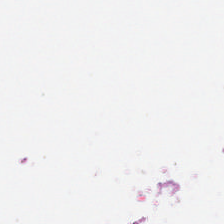Formalin-fixed paraffin-embedded section. H&E stain. 0.5 microns per pixel — This patch shows background (no tissue).
